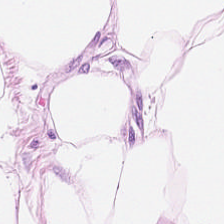Stain: hematoxylin-and-eosin stained section.
Tissue type: adipose tissue.
